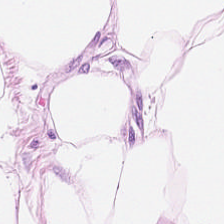Stain: hematoxylin-and-eosin stained section.
Tissue type: adipose tissue.
